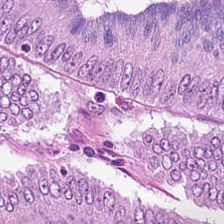H&E-stained tissue section; 20× equivalent magnification — Q: Classify this patch.
A: The field shows colorectal adenocarcinoma epithelium.
